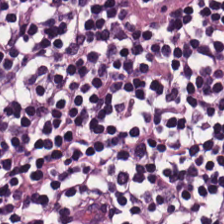H&E-stained tissue section. Lymphocyte aggregate.
